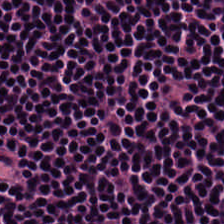Hematoxylin and eosin.
Showing lymphocytic infiltrate.
